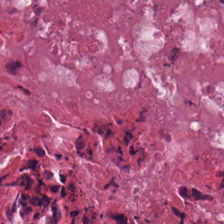H&E. Classification — debris.
